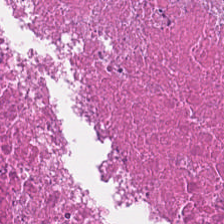224×224 px tile; H&E stain; 0.5 microns per pixel. The tissue here is debris.
